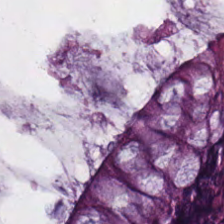H&E. This field is non-neoplastic colon mucosa.
